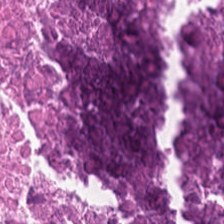H&E-stained tissue section. Q: What is shown in this field?
A: It is debris.
